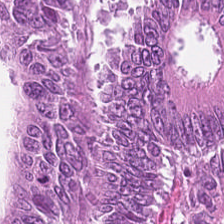H&E-stained tissue section.
Q: What type of tissue is this?
A: The field shows malignant epithelium.
